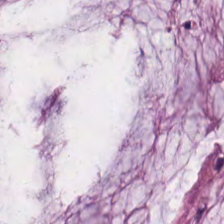H&E.
This field is mucin.
